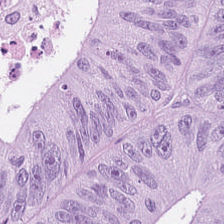Brightfield; formalin-fixed paraffin-embedded section; H&E.
The predominant tissue is colorectal adenocarcinoma epithelium.
